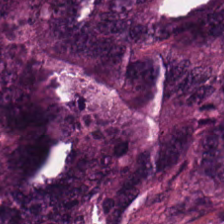H&E. Q: What is shown here?
A: Colorectal adenocarcinoma epithelium.
